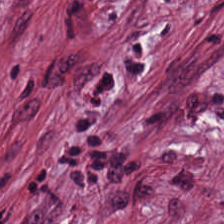0.5 µm/px. H&E stain.
Q: Identify the tissue.
A: This is tumor-associated stroma.
